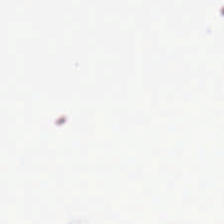H&E stain; 224×224 px patch; 20× equivalent magnification.
This patch shows empty background.
